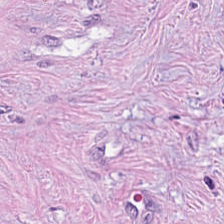H&E stain.
The predominant tissue is tumor stroma.
